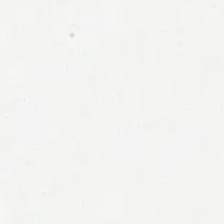Hematoxylin-and-eosin stained section — This patch shows background.
